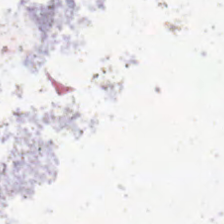Q: What is shown in this field?
A: The field shows no tissue.
